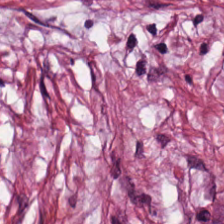The tissue class is cancer-associated stroma.
